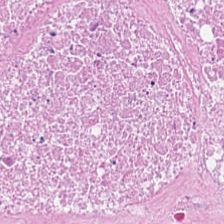Stain: hematoxylin-and-eosin stained section.
Acquisition: WSI patch.
Tile size: 224×224 px patch.
Tissue type: debris.
